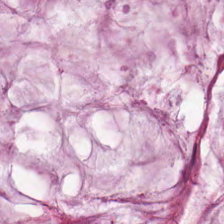Hematoxylin-and-eosin stained section. Impression — mucus.
